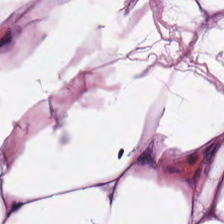H&E-stained tissue section · formalin-fixed paraffin-embedded section. Predominant tissue: adipose.
